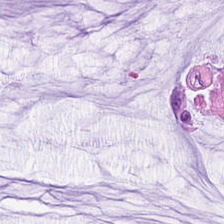H&E-stained tissue section. Q: Identify the tissue.
A: This is mucus.
